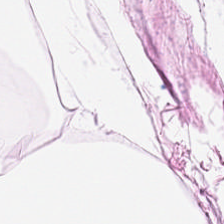H&E-stained tissue section · WSI patch · FFPE.
{"tissue_type": "adipocytes"}
